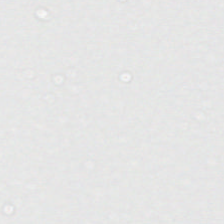H&E-stained tissue section — Q: What does this patch show?
A: Empty background.
